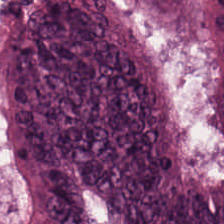224×224 pixel tile; H&E-stained tissue section — Finding → malignant epithelium.
